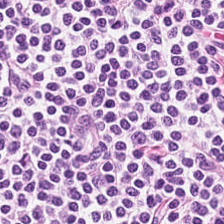Impression → lymphocytic infiltrate.
